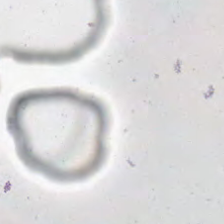Stain: H&E stain.
Tile size: 224×224 pixel tile.
Field content: background (no tissue).
